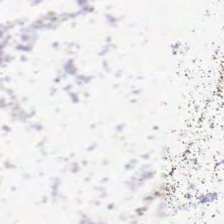H&E.
Field content: empty background.
